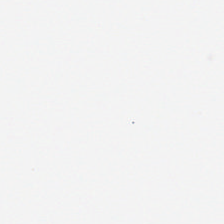H&E stain. 224×224 px patch.
Impression → background.
